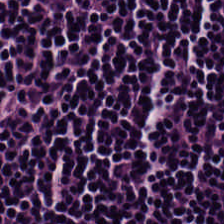H&E.
This patch shows lymphoid infiltrate.
